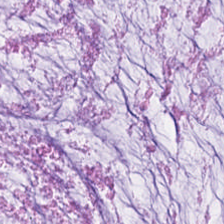224×224 px patch. Hematoxylin and eosin. FFPE. This patch shows extracellular mucin.
